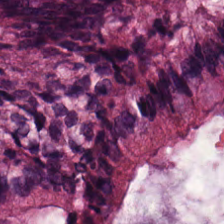H&E stain; brightfield microscopy; 224×224 px patch.
{"tissue_type": "normal colon mucosa"}
